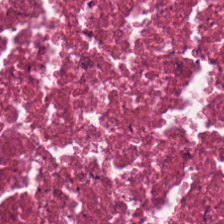0.5 µm/px · H&E-stained tissue section · FFPE tissue section — Necrotic debris.
